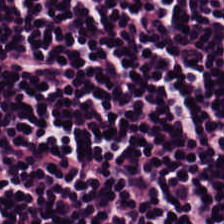H&E. Tissue type = lymphocytic infiltrate.
